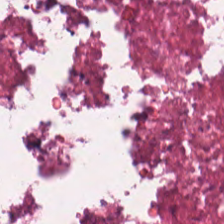The tissue class is debris.
